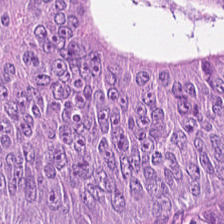Hematoxylin-and-eosin stained section. Q: What tissue is shown?
A: It is malignant epithelium.
